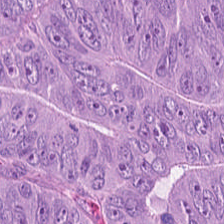H&E stain — The tissue here is adenocarcinoma.
